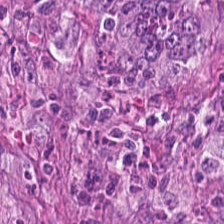H&E.
This field is tumor epithelium.
